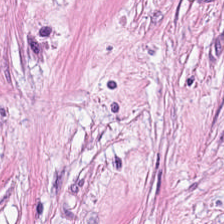0.5 µm/px. Hematoxylin-and-eosin stained section.
Q: Classify this patch.
A: It is tumor-associated stroma.
